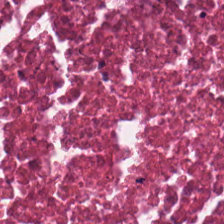0.5 microns per pixel; H&E-stained tissue section. This field is debris.
